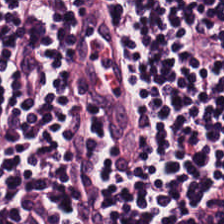H&E-stained tissue section. Q: What tissue type is shown here?
A: This is lymphocytic infiltrate.
